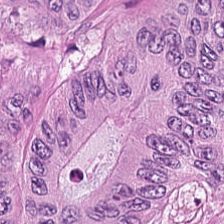Predominant tissue: colorectal adenocarcinoma epithelium.
